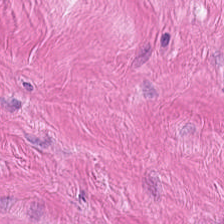Stain: hematoxylin and eosin.
Resolution: 0.5 microns per pixel.
Preparation: formalin-fixed paraffin-embedded section.
Predominant tissue: smooth-muscle tissue.
